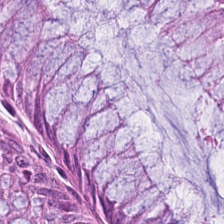H&E-stained tissue section · 0.5 µm/px — Q: What does this patch show?
A: The field shows normal colon mucosa.
